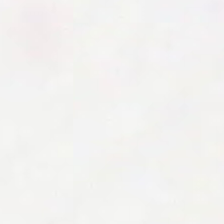This field is background (no tissue).
